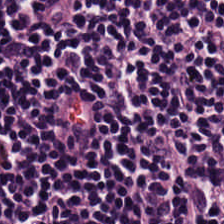Hematoxylin-and-eosin stained section. 0.5 microns per pixel. Tissue type — lymphoid infiltrate.
